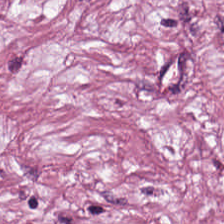Whole-slide-image patch. Hematoxylin and eosin. 224×224 px patch — Predominant tissue: desmoplastic stroma.
